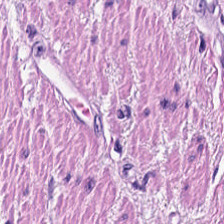H&E stain — Q: Classify this patch.
A: This is smooth-muscle tissue.
